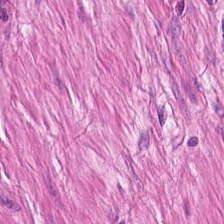H&E-stained section; the field shows smooth muscle.
